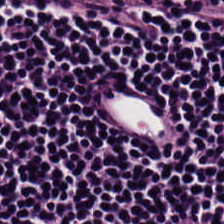Hematoxylin and eosin. This patch shows lymphocyte aggregate.
